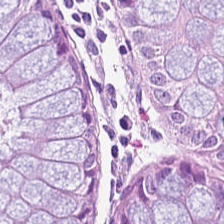H&E-stained tissue section · brightfield microscopy. Predominant tissue = normal colonic mucosa.
